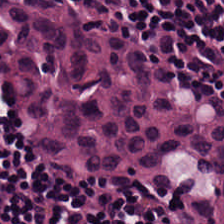Hematoxylin and eosin — Q: Classify this patch.
A: The field shows lymphocytic infiltrate.
